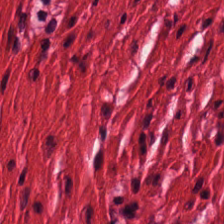H&E. Whole-slide-image patch — Classification: muscularis.
